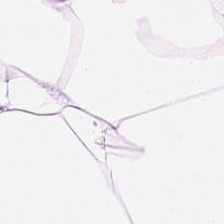Stain: H&E.
Acquisition: WSI patch.
Predominant tissue: adipose.
